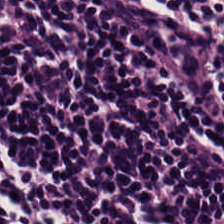0.5 µm/px; H&E stain; 224×224 px patch.
Classification: lymphoid infiltrate.
